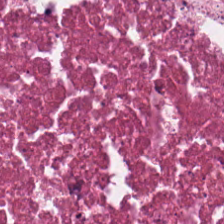Q: What is shown here?
A: It is necrotic debris.
